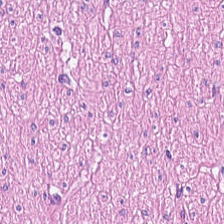Showing smooth-muscle tissue.
